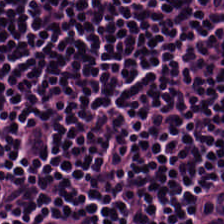224×224 pixel tile; H&E stain. Tissue type: lymphocytic infiltrate.
